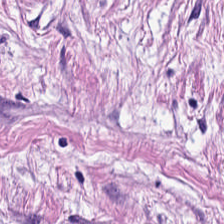Tumor stroma.
